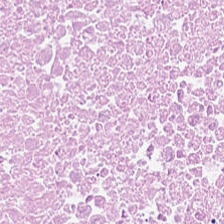H&E — This patch shows debris.
